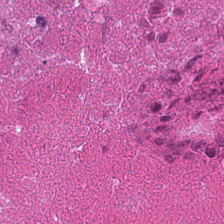Stain: hematoxylin and eosin.
Classification: debris.
